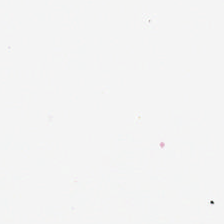FFPE; hematoxylin-and-eosin stained section. Content = background (no tissue).
